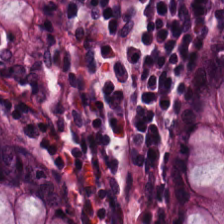H&E. This patch shows normal colonic mucosa.
